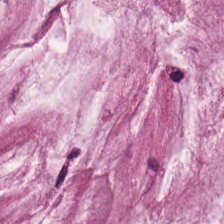Stain: H&E.
Acquisition: WSI patch.
Preparation: FFPE tissue section.
Tissue type: extracellular mucin.
